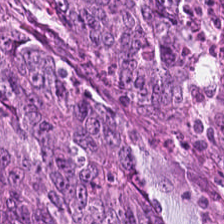Hematoxylin and eosin. 224×224 px tile. 0.5 µm per pixel. This patch shows colorectal adenocarcinoma.
